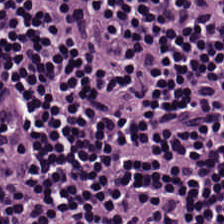FFPE tissue section · H&E — Showing lymphocytic infiltrate.
